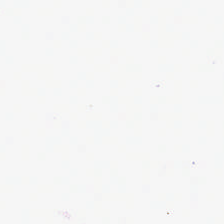H&E — Q: What does this patch show?
A: The field shows background (no tissue).
